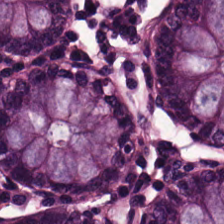Hematoxylin and eosin. Brightfield microscopy.
Q: What type of tissue is this?
A: This is non-neoplastic colon mucosa.
